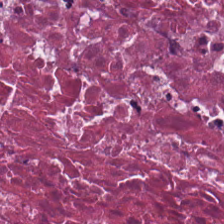Stain: H&E.
Classification: debris.
